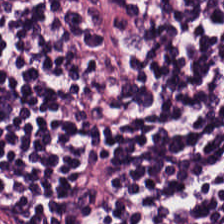224×224 pixel tile · hematoxylin-and-eosin stained section — Impression → lymphocytes.
